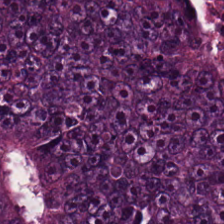H&E.
The tissue here is tumor epithelium.
